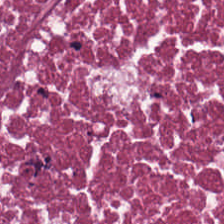Stain: hematoxylin-and-eosin stained section.
Acquisition: whole-slide-image patch.
Tile size: 224×224 px patch.
Tissue type: debris.
